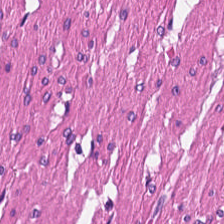H&E; brightfield microscopy; 224×224 pixel tile — {"tissue_type": "muscularis"}
